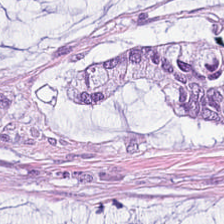H&E-stained section; the field shows mucin.
